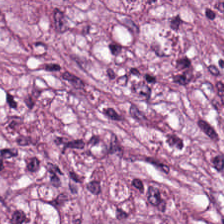H&E-stained section; the field shows tumor stroma.
